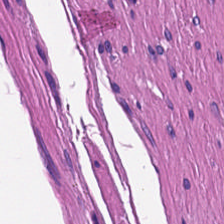Q: Classify this patch.
A: Muscularis.
